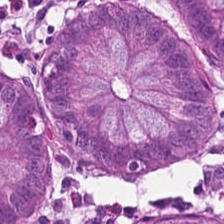0.5 microns per pixel · 224×224 px tile · H&E. Finding — benign colonic mucosa.
